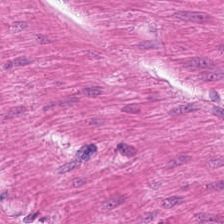Hematoxylin and eosin. 224×224 px tile. Q: Classify this patch.
A: This is smooth-muscle tissue.
